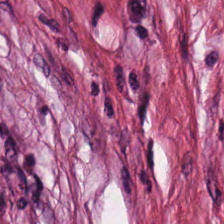Formalin-fixed paraffin-embedded section. Hematoxylin-and-eosin stained section.
Tissue class: tumor stroma.
